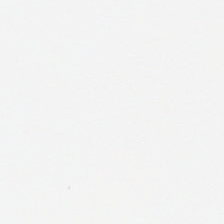Q: What does this patch show?
A: It is background.
